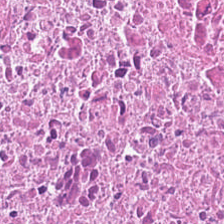Hematoxylin-and-eosin stained section — Q: Identify the tissue.
A: Debris.
